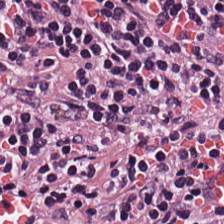Q: Identify the tissue.
A: Lymphocytes.
